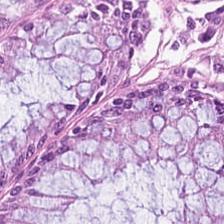H&E stain; 224×224 px patch. Predominant tissue = normal colonic mucosa.
